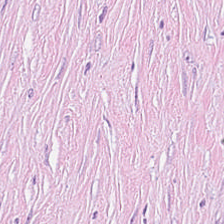H&E.
Tissue class = desmoplastic stroma.
